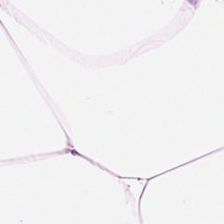Predominantly adipose tissue.
